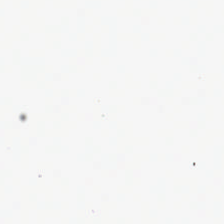Stain: hematoxylin-and-eosin stained section.
Content: background.
